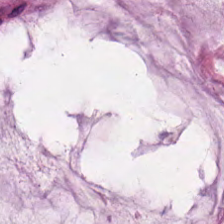Hematoxylin and eosin. Formalin-fixed paraffin-embedded section. Whole-slide-image patch — This patch shows mucin.
